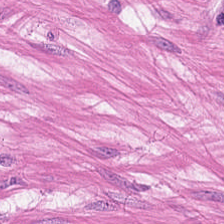Q: What is shown in this field?
A: It is muscularis.
